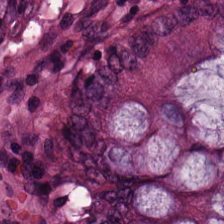{"tissue_type": "normal colonic mucosa"}
